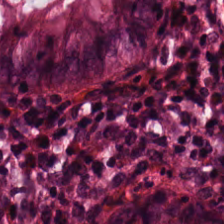Stain: H&E stain.
Tissue class: normal colon mucosa.
